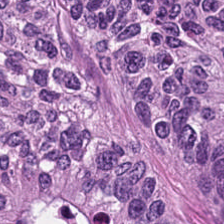H&E. FFPE. Predominant tissue = tumor epithelium.
